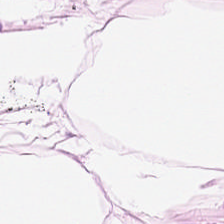Q: What does this patch show?
A: Adipose.
